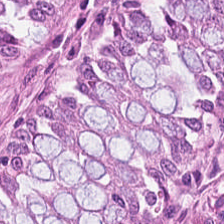H&E-stained tissue section.
Showing normal colonic mucosa.
